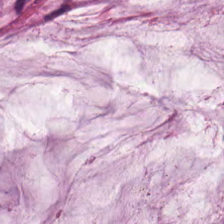H&E · 224×224 px patch.
{"tissue_type": "mucus"}
